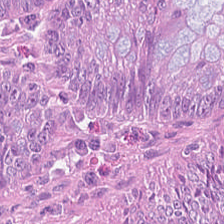FFPE; hematoxylin and eosin. Histology → malignant epithelium.
